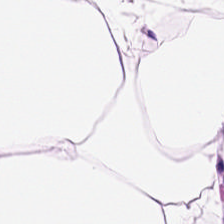Predominant tissue — adipose.
